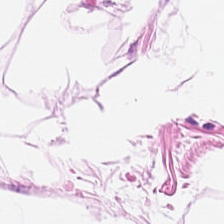H&E.
This patch shows fat tissue.
